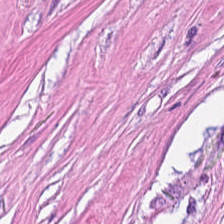Hematoxylin and eosin · FFPE — Predominant tissue: tumor-associated stroma.
